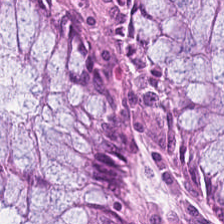Hematoxylin and eosin. 0.5 µm per pixel.
The classification is normal colon mucosa.
